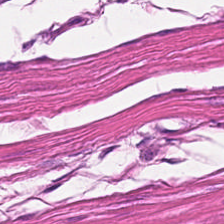Whole-slide-image patch; H&E; FFPE — Q: What tissue type is shown here?
A: This is muscularis.
